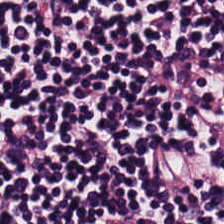Hematoxylin and eosin. Lymphocyte aggregate.
